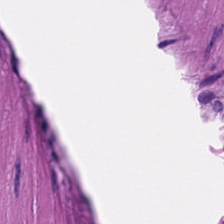H&E.
Impression → smooth muscle.
